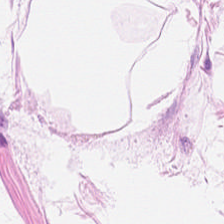H&E — adipose tissue.
